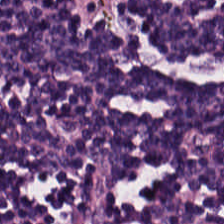Hematoxylin-and-eosin stained section.
Showing lymphocytic infiltrate.
